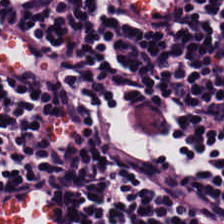H&E.
Predominantly lymphocytic infiltrate.
